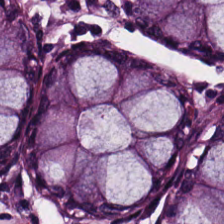H&E — Histology — normal colonic mucosa.
